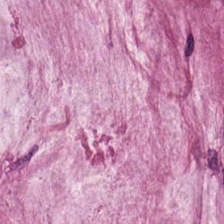H&E stain; 224×224 px tile; whole-slide-image patch.
The tissue here is mucus.
